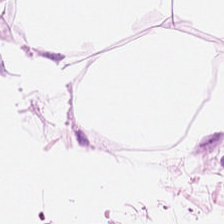Tissue type = fat tissue.
